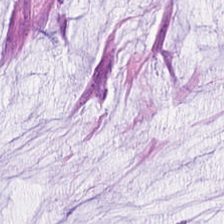Hematoxylin-and-eosin section: mucin.
